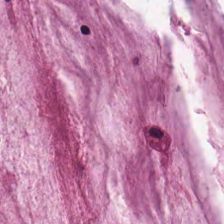H&E patch showing mucin.
